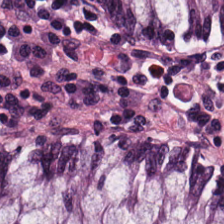FFPE tissue section · H&E-stained tissue section — Classification = benign colonic mucosa.
